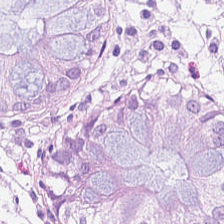Hematoxylin-and-eosin stained section — Q: Identify the tissue.
A: It is normal colonic mucosa.
